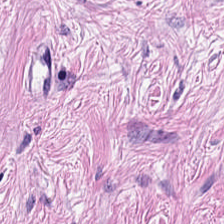224×224 px patch; H&E-stained tissue section. Finding — tumor-associated stroma.
